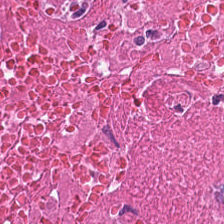FFPE · H&E-stained tissue section · 0.5 µm/px — Necrotic debris.
